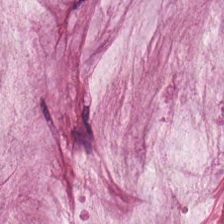Hematoxylin-and-eosin stained section — The tissue type is mucus.
